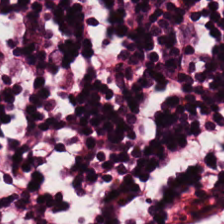224×224 px patch; H&E — {"tissue_type": "lymphocytes"}
